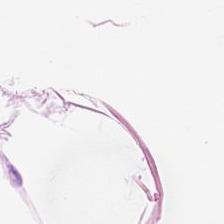Hematoxylin and eosin — Tissue type — adipocytes.
